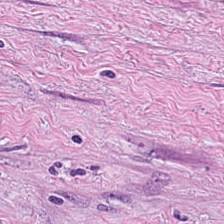Histology → tumor-associated stroma.
